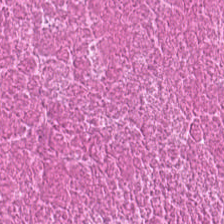Stain: H&E-stained tissue section.
Resolution: 0.5 µm/px.
Predominant tissue: debris.
